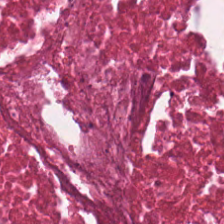Formalin-fixed paraffin-embedded section · hematoxylin and eosin.
Q: Classify this patch.
A: It is debris.
